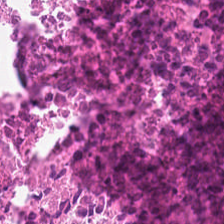Classification — debris.
